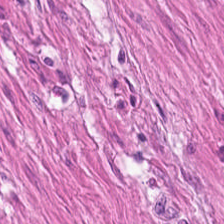H&E · formalin-fixed paraffin-embedded section. Showing smooth muscle.
